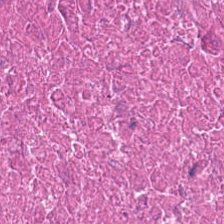H&E — Tissue class — cellular debris.
